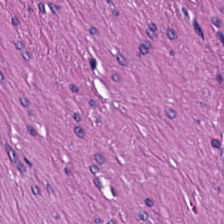224×224 pixel tile. H&E.
Q: Classify this patch.
A: This is smooth muscle.
